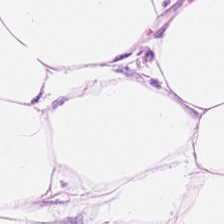20× equivalent magnification · 224×224 pixel tile · H&E stain. Q: What is the predominant tissue type?
A: It is fat tissue.
